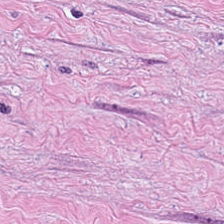H&E-stained tissue section.
Predominant tissue: cancer-associated stroma.
